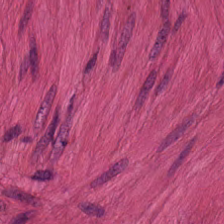Stain: H&E.
Preparation: FFPE.
Tissue: muscularis.
